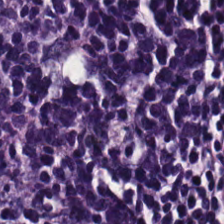H&E-stained tissue section. 0.5 µm/px. Formalin-fixed paraffin-embedded section. Predominantly lymphocytic infiltrate.
